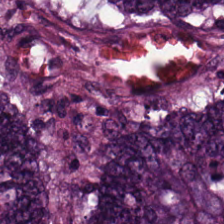Hematoxylin-and-eosin stained section; FFPE; 0.5 µm per pixel. Impression — malignant epithelium.
